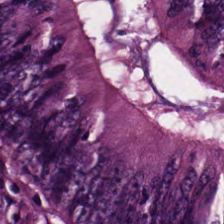Hematoxylin and eosin; 224×224 px tile.
This patch shows colorectal adenocarcinoma.
